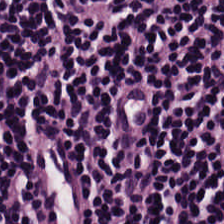Q: What tissue type is shown here?
A: The field shows lymphocyte aggregate.
